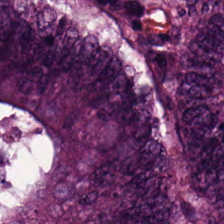H&E-stained tissue section. Q: What tissue is shown?
A: This is adenocarcinoma.
